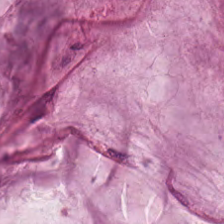Hematoxylin-and-eosin stained section — Classification = extracellular mucin.
